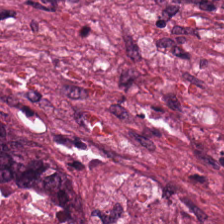Hematoxylin and eosin; FFPE.
{"tissue_type": "necrotic debris"}
